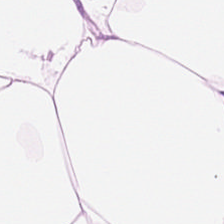H&E stain.
Showing adipocytes.
